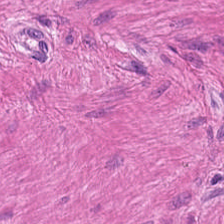Hematoxylin-and-eosin stained section. Smooth-muscle tissue.
